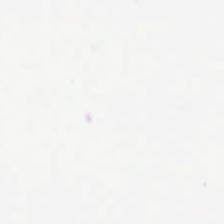224×224 px patch · H&E-stained tissue section. {"content": "empty background"}
